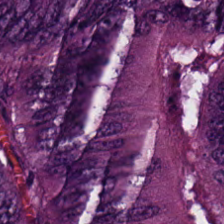Hematoxylin and eosin — The classification is malignant epithelium.
